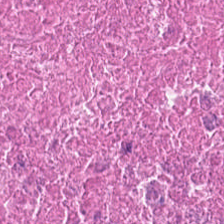Hematoxylin-and-eosin section: cellular debris.
